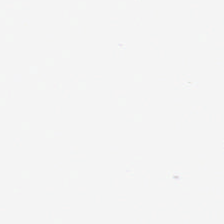This field is background (no tissue).
